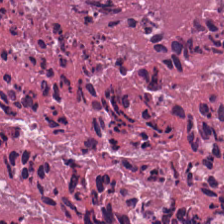Hematoxylin-and-eosin stained section. Histology → cellular debris.
